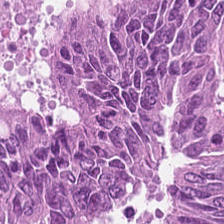Predominant tissue = adenocarcinoma.
